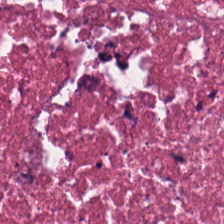Hematoxylin and eosin; whole-slide-image patch. {"tissue_type": "necrotic debris"}
